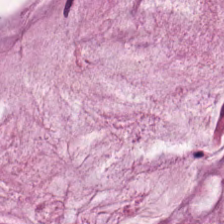H&E stain. Predominantly mucus.
